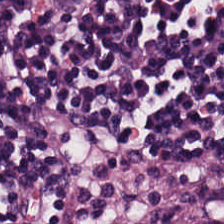Stain: H&E.
Tile size: 224×224 px patch.
Preparation: FFPE.
Classification: lymphoid infiltrate.
